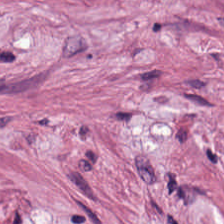H&E. Impression — desmoplastic stroma.
